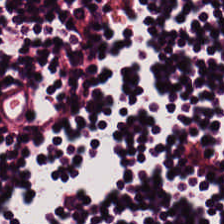H&E; 20× equivalent magnification — Finding → lymphoid infiltrate.
